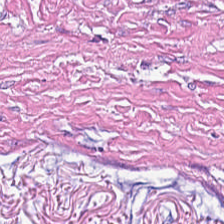Stain: H&E-stained tissue section.
Tile size: 224×224 px tile.
Predominant tissue: tumor-associated stroma.
